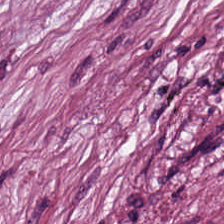Stain: H&E-stained tissue section.
Tile size: 224×224 px tile.
Tissue class: tumor stroma.
